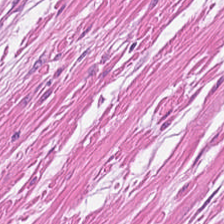Formalin-fixed paraffin-embedded section; H&E.
The tissue here is muscularis.
